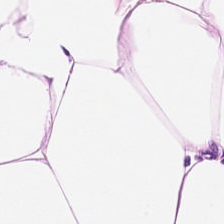Tissue: adipocytes.
